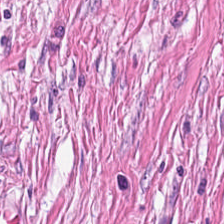Brightfield microscopy · formalin-fixed paraffin-embedded section · H&E stain.
Impression — tumor-associated stroma.
